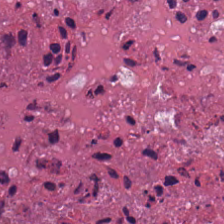H&E stain — This patch shows necrotic debris.
